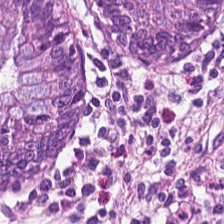224×224 px tile. WSI patch. Hematoxylin-and-eosin stained section — Classification: non-neoplastic colon mucosa.
